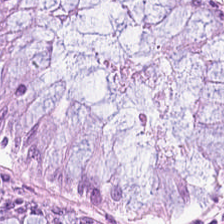Impression — benign colonic mucosa.
